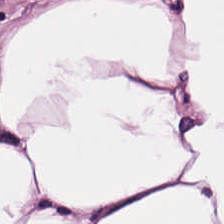Hematoxylin and eosin — Classification — adipose tissue.
